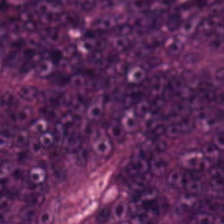H&E stain · WSI patch — Finding → adenocarcinoma.
